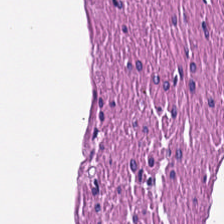Hematoxylin-and-eosin stained section.
Q: Classify this patch.
A: The field shows muscularis.
